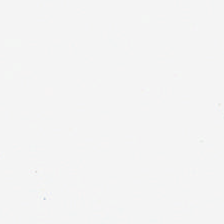H&E. Background (no tissue).
